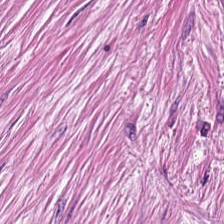0.5 microns per pixel. Formalin-fixed paraffin-embedded section. H&E stain.
Tissue: tumor-associated stroma.
